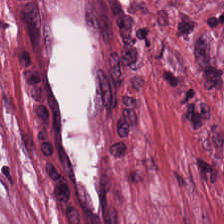Hematoxylin and eosin.
The predominant tissue is desmoplastic stroma.
